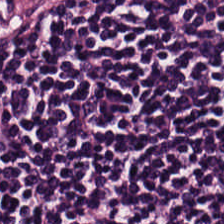H&E-stained tissue section.
The tissue class is lymphocyte aggregate.
